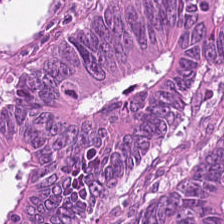Hematoxylin and eosin — Finding → tumor epithelium.
